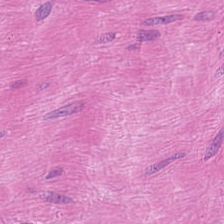Hematoxylin-and-eosin stained section. Predominant tissue — smooth-muscle tissue.
